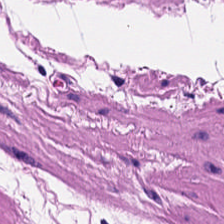Whole-slide-image patch. H&E. Showing smooth-muscle tissue.
